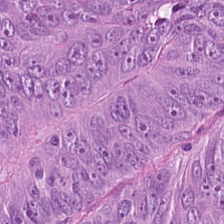FFPE; H&E stain.
Predominantly tumor epithelium.
